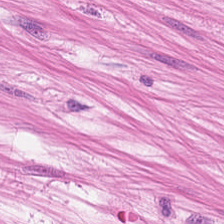H&E stain.
The tissue here is smooth muscle.
